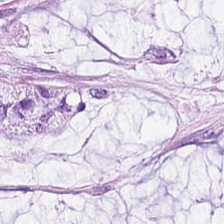Tissue = extracellular mucin.
